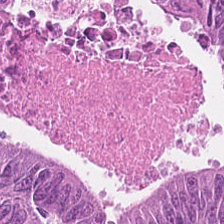Stain: hematoxylin-and-eosin stained section.
Tissue class: colorectal adenocarcinoma.
